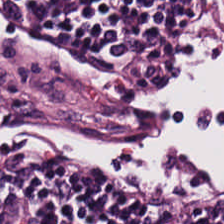Hematoxylin-and-eosin section: lymphocyte aggregate.
